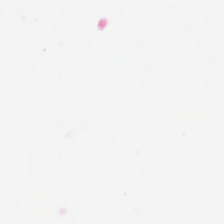Hematoxylin and eosin — Field content: background.
